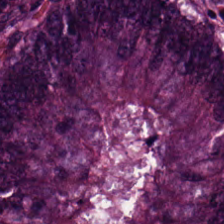Whole-slide-image patch · 0.5 µm/px · H&E stain.
Malignant epithelium.
